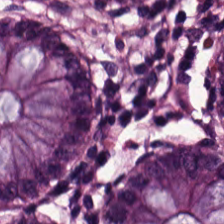FFPE. H&E — Normal colonic mucosa.
